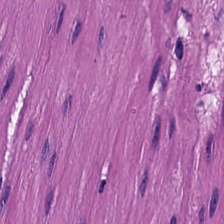WSI patch. H&E stain. Q: What does this patch show?
A: The field shows smooth muscle.
